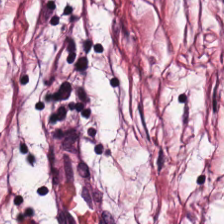Hematoxylin and eosin — Predominant tissue: cancer-associated stroma.
